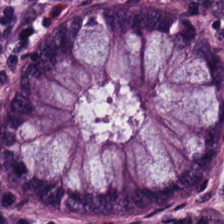H&E-stained tissue section — This patch shows normal colonic mucosa.
